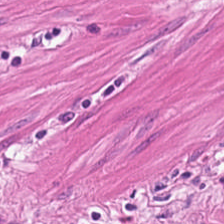H&E stain. Tissue type: smooth-muscle tissue.
